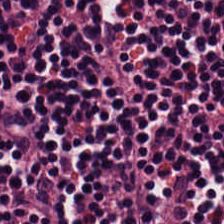This field is lymphoid infiltrate.
